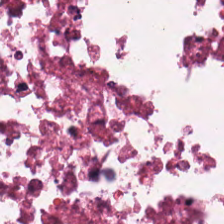The predominant tissue is debris.
